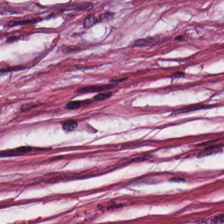Hematoxylin-and-eosin stained section — Q: What is the predominant tissue type?
A: It is tumor-associated stroma.
